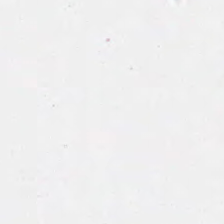Hematoxylin and eosin — Q: What is shown in this field?
A: The field shows background (no tissue).
